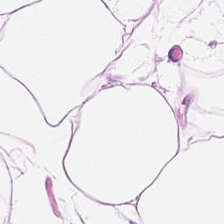Hematoxylin and eosin. Q: Classify this patch.
A: It is adipocytes.
